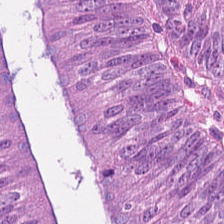FFPE. Hematoxylin-and-eosin stained section — Tissue type — adenocarcinoma.
